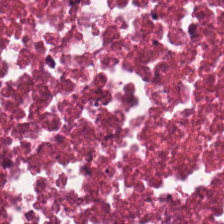H&E-stained tissue section showing cellular debris.
